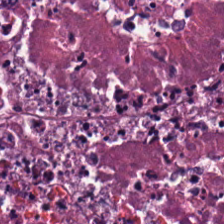H&E patch showing cellular debris.
